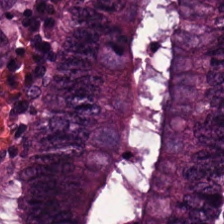Hematoxylin-and-eosin stained section — Showing colorectal adenocarcinoma.
